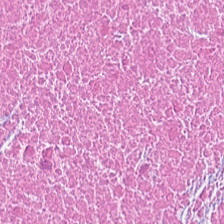224×224 px patch. Hematoxylin-and-eosin stained section. Predominant tissue = cellular debris.
